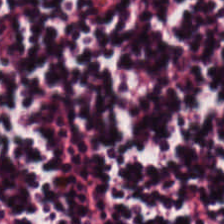Formalin-fixed paraffin-embedded section. H&E-stained tissue section. Histology → lymphoid infiltrate.
